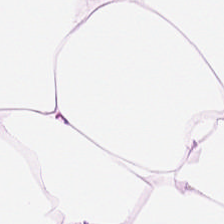FFPE · 224×224 px patch · hematoxylin and eosin.
Finding — adipose.
